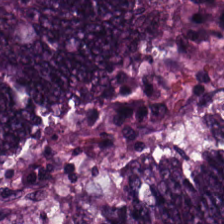This field is adenocarcinoma.
